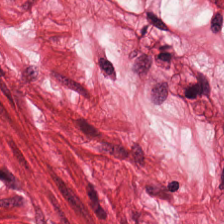The tissue class is smooth muscle.
